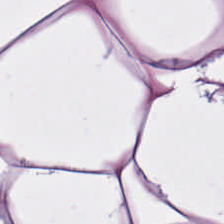H&E stain — The classification is adipose tissue.
